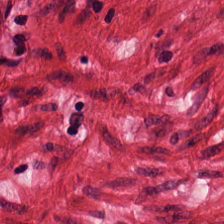H&E — muscularis.
